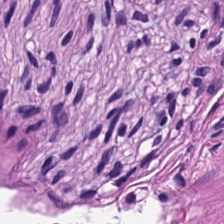H&E stain; formalin-fixed paraffin-embedded section — Q: What is shown in this field?
A: The field shows smooth muscle.
